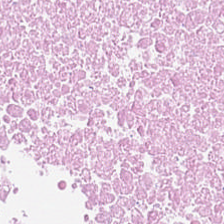Hematoxylin-and-eosin stained section. Predominant tissue: necrotic debris.
